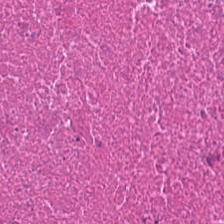Hematoxylin and eosin.
{"tissue_type": "cellular debris"}
